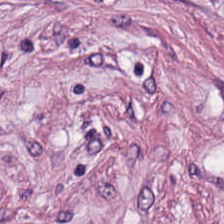Hematoxylin-and-eosin stained section · 0.5 µm/px. Q: What is shown in this field?
A: It is desmoplastic stroma.
